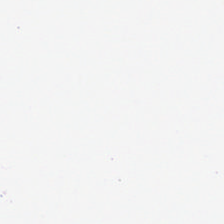Brightfield microscopy; formalin-fixed paraffin-embedded section; H&E stain — Histology → background (no tissue).
